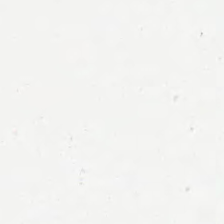Q: What does this patch show?
A: The field shows background (no tissue).
